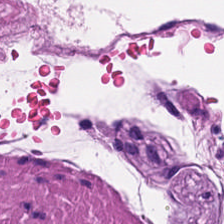H&E patch showing smooth muscle.
